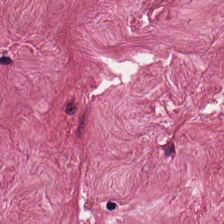H&E-stained tissue section; 0.5 µm per pixel; 224×224 pixel tile.
Tissue: desmoplastic stroma.
